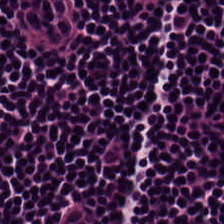{"tissue_type": "lymphocytic infiltrate"}
